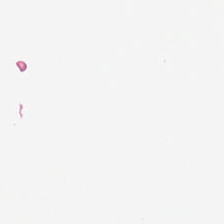H&E stain.
The classification is background.
